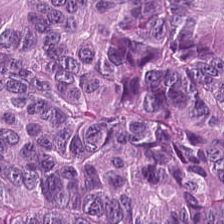0.5 µm/px. Hematoxylin-and-eosin stained section.
Q: What is shown here?
A: Colorectal adenocarcinoma.
